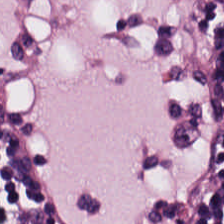FFPE. 224×224 px tile. H&E-stained tissue section.
Predominant tissue — lymphocytes.
